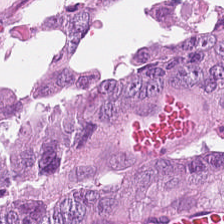Brightfield; H&E stain; 224×224 px patch. Tissue class — colorectal adenocarcinoma.
